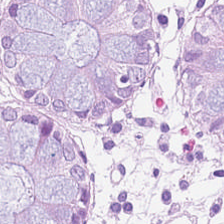H&E-stained tissue section.
The predominant tissue is normal colonic mucosa.
